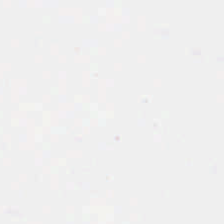H&E. FFPE. The content is background (no tissue).
